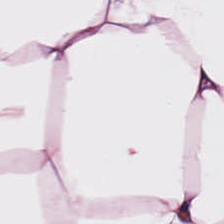20× equivalent magnification. 224×224 px patch. Hematoxylin and eosin.
Q: What is shown here?
A: The field shows adipose tissue.
